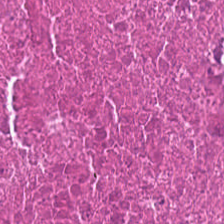Predominant tissue = cellular debris.
